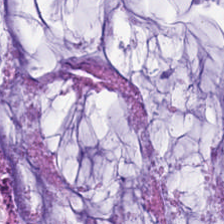H&E stain.
The tissue here is mucus.
